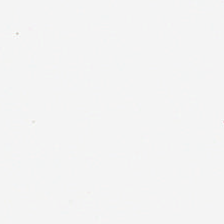Hematoxylin and eosin.
Impression — background (no tissue).
